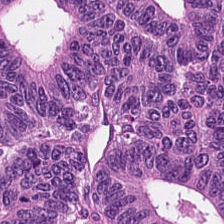Stain: hematoxylin and eosin.
Acquisition: brightfield.
Predominant tissue: colorectal adenocarcinoma epithelium.
